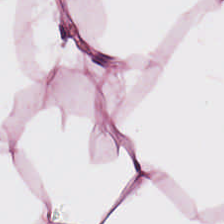Stain: H&E-stained tissue section.
Acquisition: brightfield microscopy.
Tissue: adipose tissue.
